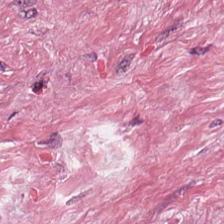The tissue type is tumor-associated stroma.
